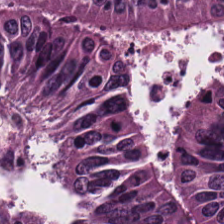Hematoxylin and eosin — The tissue here is adenocarcinoma.
